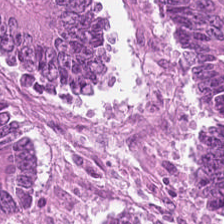0.5 µm per pixel; H&E stain — Predominant tissue — malignant epithelium.
